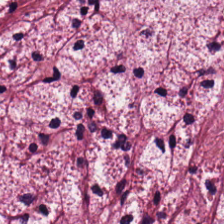H&E stain. 224×224 px tile. The tissue class is tumor-associated stroma.
